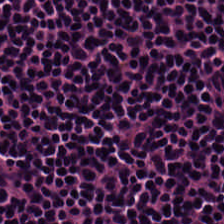WSI patch · H&E stain · 0.5 µm per pixel. The predominant tissue is lymphocytic infiltrate.
